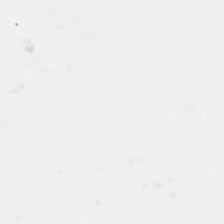H&E. Background.
